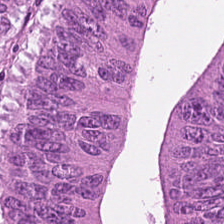Finding → malignant epithelium.
